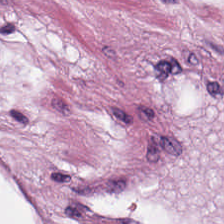224×224 px patch; 20× equivalent magnification; H&E. Predominant tissue: adipose.
